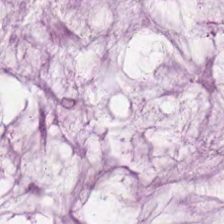H&E-stained tissue section.
Showing mucin.
